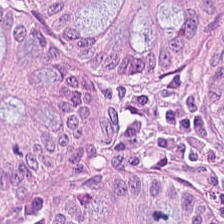Showing normal colon mucosa.
